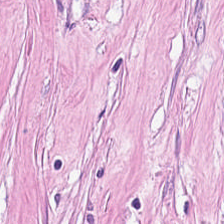Whole-slide-image patch · H&E stain — Tissue: tumor-associated stroma.
